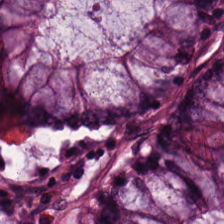H&E.
Predominantly non-neoplastic colon mucosa.
